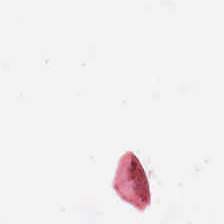Hematoxylin-and-eosin stained section. This patch shows no tissue.
